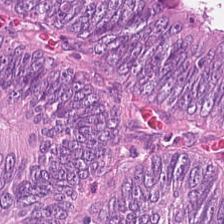H&E. Predominant tissue: colorectal adenocarcinoma.
